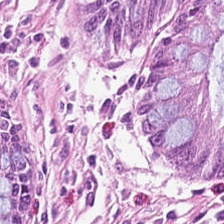H&E — This patch shows normal colonic mucosa.
